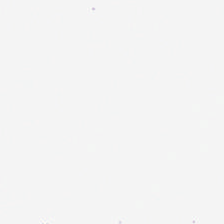H&E-stained tissue section. Q: Classify this patch.
A: The field shows no tissue.
